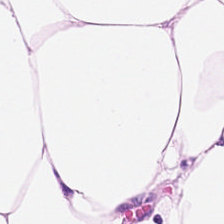Stain: hematoxylin and eosin.
Resolution: 0.5 µm per pixel.
Tissue: adipose tissue.
